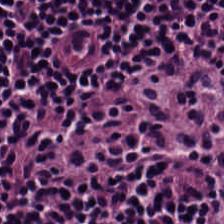H&E-stained tissue section.
Q: What is the predominant tissue type?
A: It is lymphocytes.
